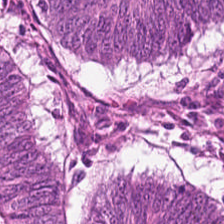0.5 microns per pixel · H&E-stained tissue section — Tissue — colorectal adenocarcinoma.
